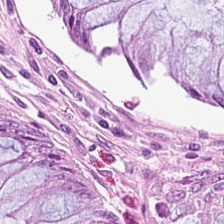Q: What is shown here?
A: The field shows normal colonic mucosa.
